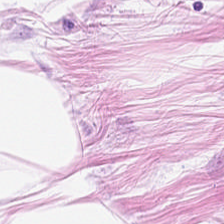H&E — Impression → adipose.
